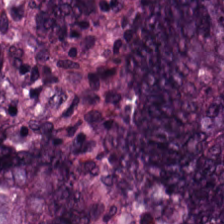Malignant epithelium.
